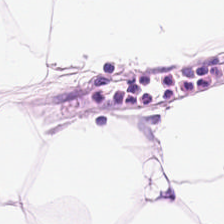0.5 microns per pixel · H&E stain · 224×224 pixel tile — {"tissue_type": "adipocytes"}
